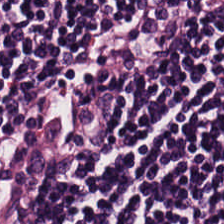224×224 px patch. Hematoxylin-and-eosin stained section. Lymphocyte aggregate.
